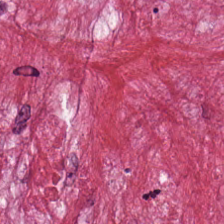H&E patch showing cancer-associated stroma.
